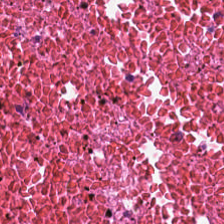0.5 microns per pixel; whole-slide-image patch; H&E stain.
Cellular debris.
